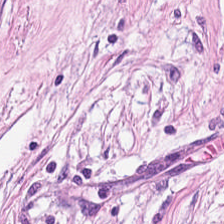H&E stain. 224×224 px tile.
The predominant tissue is tumor-associated stroma.
